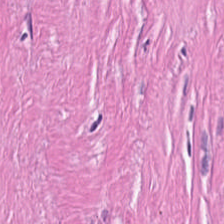H&E; 0.5 µm per pixel — Cancer-associated stroma.
